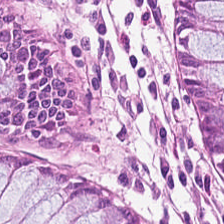Stain: hematoxylin and eosin.
Acquisition: WSI patch.
Predominant tissue: benign colonic mucosa.
